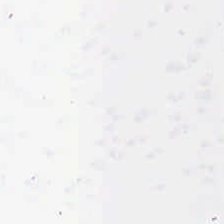Background.
